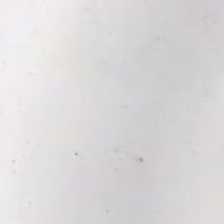Hematoxylin-and-eosin stained section — Content: background.
